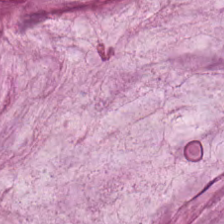H&E stain — {"tissue_type": "extracellular mucin"}
